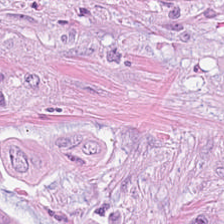Hematoxylin-and-eosin stained section. WSI patch. Formalin-fixed paraffin-embedded section — Colorectal adenocarcinoma epithelium.
